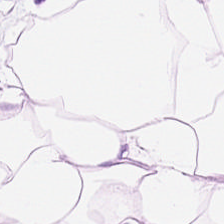Hematoxylin-and-eosin stained section — Adipose tissue.
